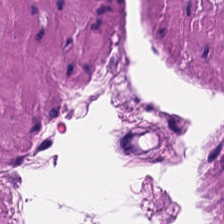{"tissue_type": "smooth muscle"}
